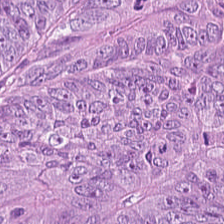Finding — tumor epithelium.
